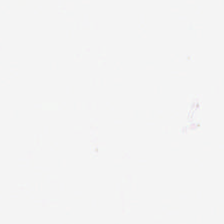Hematoxylin and eosin.
Background.
